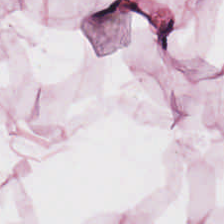224×224 px tile; hematoxylin and eosin — Fat tissue.
